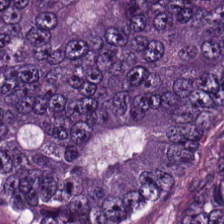H&E stain. This field is tumor epithelium.
